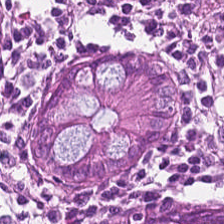H&E-stained tissue section; FFPE tissue section. The tissue here is non-neoplastic colon mucosa.
